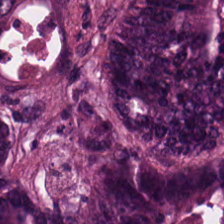H&E stain.
Histology → colorectal adenocarcinoma.
